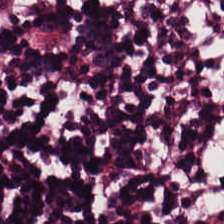The tissue here is lymphocytes.
